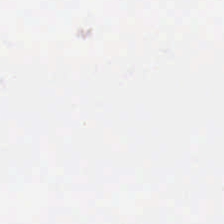H&E — This patch shows background (no tissue).
